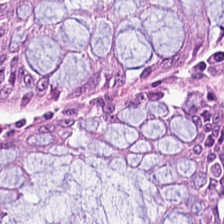H&E-stained tissue section — This field is benign colonic mucosa.
